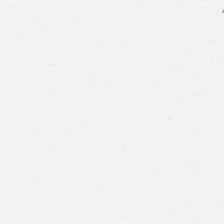Stain: H&E stain.
Content: no tissue.
